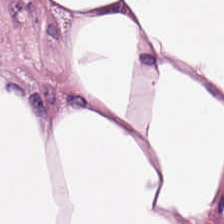H&E — Tissue: fat tissue.
